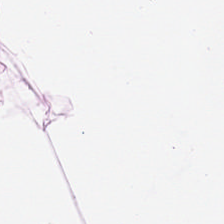224×224 px patch · H&E-stained tissue section. Finding → adipocytes.
